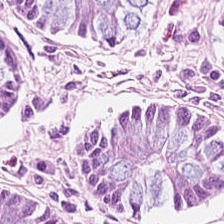Hematoxylin-and-eosin stained section — Q: Classify this patch.
A: The field shows non-neoplastic colon mucosa.
